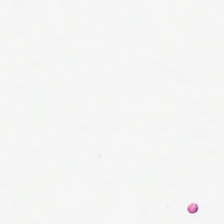Hematoxylin and eosin. 20× equivalent magnification.
No tissue present; background only.
